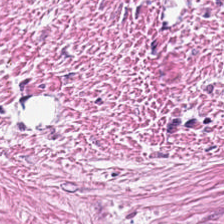Stain: H&E-stained tissue section.
Resolution: 0.5 µm/px.
Preparation: FFPE.
Tissue class: tumor-associated stroma.
